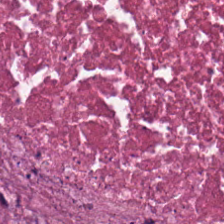The tissue class is cellular debris.
